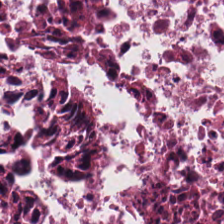H&E · 0.5 µm/px. The predominant tissue is cellular debris.
